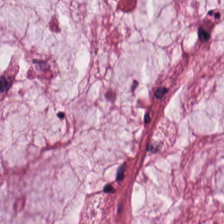Hematoxylin and eosin. The tissue class is extracellular mucin.
